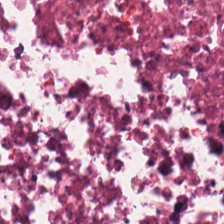Hematoxylin-and-eosin stained section.
{"tissue_type": "cellular debris"}
